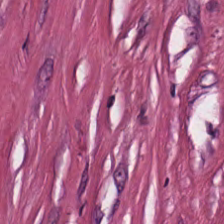Hematoxylin-and-eosin stained section.
Showing desmoplastic stroma.
